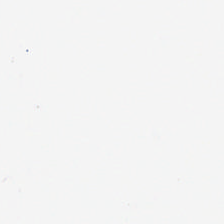Hematoxylin-and-eosin stained section. This field is background (no tissue).
